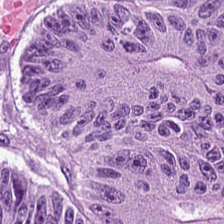H&E-stained tissue section. Brightfield microscopy — Tissue = colorectal adenocarcinoma.
